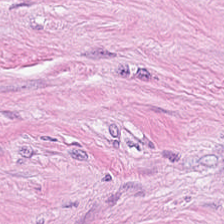Hematoxylin and eosin · 20× equivalent magnification.
Tissue: tumor stroma.
